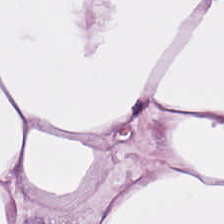0.5 µm per pixel · hematoxylin-and-eosin stained section — {"tissue_type": "adipose tissue"}
